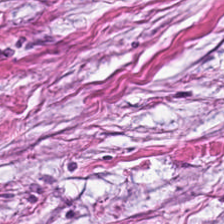H&E-stained tissue section.
The tissue is cancer-associated stroma.
